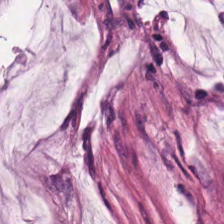H&E-stained tissue section. Formalin-fixed paraffin-embedded section. 224×224 px tile.
Q: What tissue type is shown here?
A: The field shows mucin.
